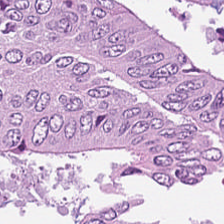20× equivalent magnification. H&E — The tissue here is colorectal adenocarcinoma.
